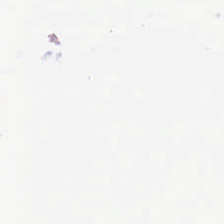Hematoxylin-and-eosin stained section; WSI patch; 0.5 µm per pixel.
The content is background (no tissue).
